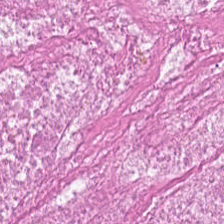Tissue type: cellular debris.
